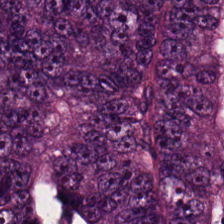{"tissue_type": "colorectal adenocarcinoma"}
